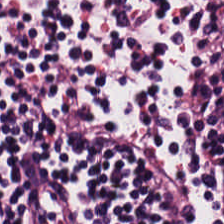FFPE tissue section; 224×224 pixel tile; hematoxylin and eosin — This patch shows lymphoid infiltrate.
